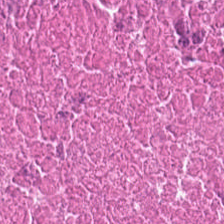20× equivalent magnification; hematoxylin and eosin — The predominant tissue is necrotic debris.
